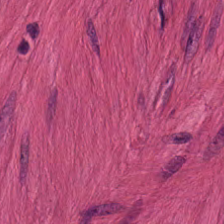Stain: H&E.
Resolution: 20× equivalent magnification.
Predominant tissue: smooth-muscle tissue.
